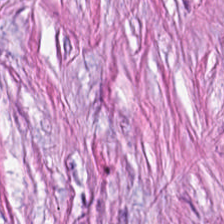Stain: hematoxylin and eosin.
Tissue: tumor stroma.
